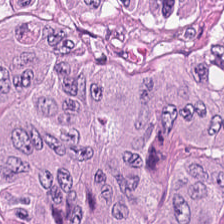H&E-stained tissue section · FFPE tissue section.
Predominantly adenocarcinoma.
